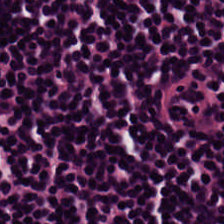0.5 microns per pixel. H&E. Q: What type of tissue is this?
A: Lymphoid infiltrate.
